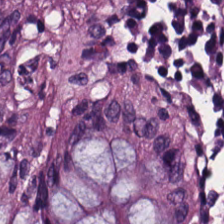Histology — non-neoplastic colon mucosa.
